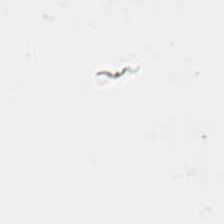Hematoxylin and eosin. Background — no tissue in this field.
